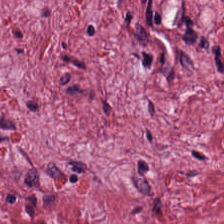H&E-stained tissue section.
Impression — tumor-associated stroma.
